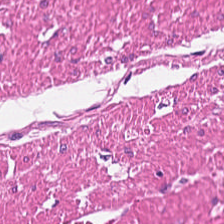Whole-slide-image patch. H&E. This field is smooth muscle.
